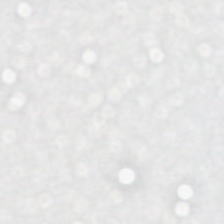H&E. Formalin-fixed paraffin-embedded section — {"content": "background"}
